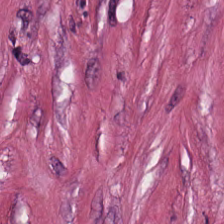Tumor-associated stroma.
